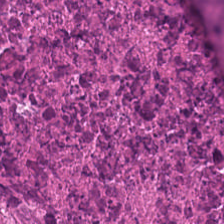Hematoxylin-and-eosin stained section. The predominant tissue is debris.
